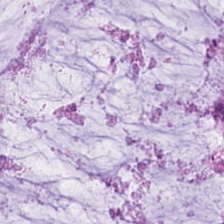Hematoxylin and eosin. Showing mucus.
